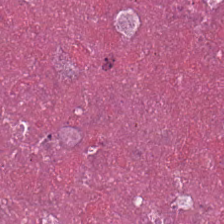H&E stain.
Tissue class — necrotic debris.
